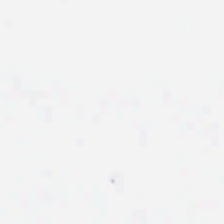This patch shows empty background.
